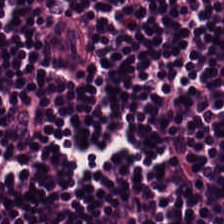H&E-stained tissue section · formalin-fixed paraffin-embedded section — The predominant tissue is lymphocytes.
